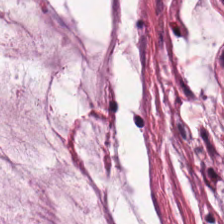H&E stain — Classification = extracellular mucin.
